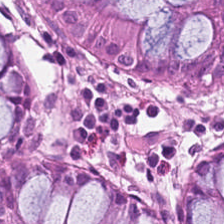H&E stain.
The predominant tissue is normal colonic mucosa.
